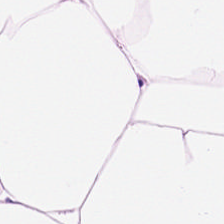Stain: H&E-stained tissue section.
Tile size: 224×224 px tile.
Preparation: FFPE.
Tissue type: adipose tissue.
